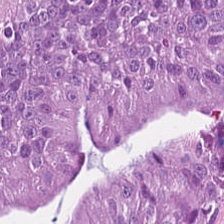Stain: H&E stain.
Tile size: 224×224 px patch.
Tissue: colorectal adenocarcinoma epithelium.
